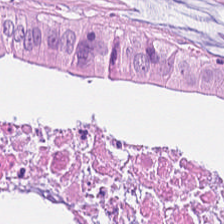Hematoxylin-and-eosin section: colorectal adenocarcinoma epithelium.
